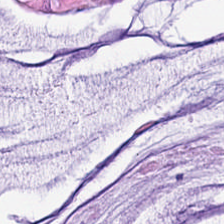Hematoxylin and eosin — Q: What is the predominant tissue type?
A: It is extracellular mucin.
